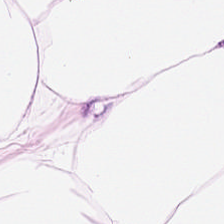H&E; formalin-fixed paraffin-embedded section; 224×224 px patch. Histology — adipose tissue.
